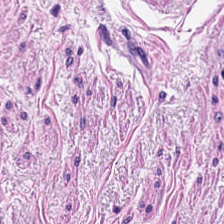224×224 px patch; H&E-stained tissue section.
Impression → muscularis.
